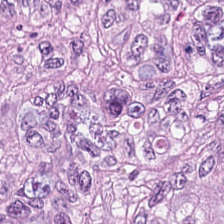224×224 pixel tile · hematoxylin and eosin · 0.5 µm per pixel — The tissue type is malignant epithelium.
